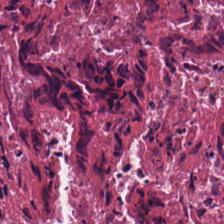Hematoxylin and eosin.
Cellular debris.
